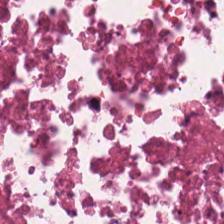Stain: hematoxylin and eosin.
Tissue: necrotic debris.
